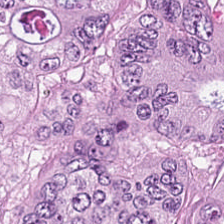H&E-stained tissue section — This patch shows adenocarcinoma.
